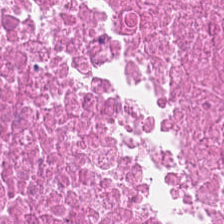Hematoxylin and eosin.
Q: What type of tissue is this?
A: Cellular debris.
